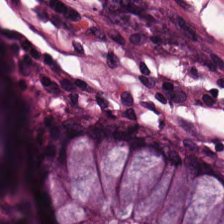Stain: H&E.
Tissue: normal colon mucosa.
